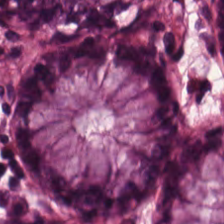H&E-stained tissue section · 20× equivalent magnification — Predominantly normal colonic mucosa.
